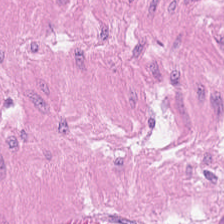Stain: H&E-stained tissue section.
Tissue type: smooth-muscle tissue.
